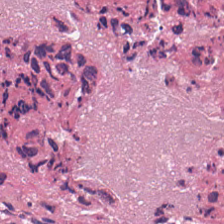Hematoxylin and eosin. Histology — cellular debris.
